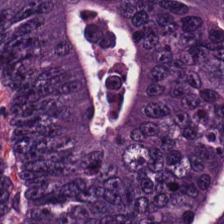Brightfield · 224×224 px tile · hematoxylin and eosin.
Impression — colorectal adenocarcinoma epithelium.
